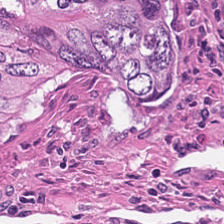H&E.
The tissue here is debris.
